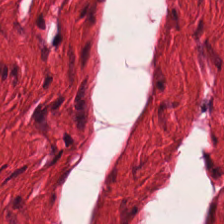Hematoxylin and eosin.
Smooth muscle.
